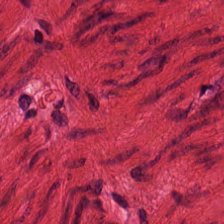H&E stain · formalin-fixed paraffin-embedded section · brightfield microscopy. The predominant tissue is muscularis.
